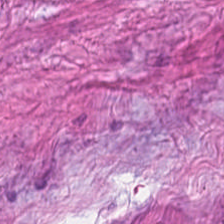Brightfield microscopy. H&E stain.
This patch shows desmoplastic stroma.
